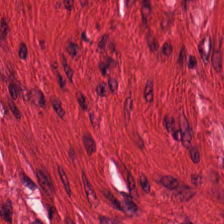Hematoxylin and eosin; 224×224 px tile — Classification — smooth-muscle tissue.
